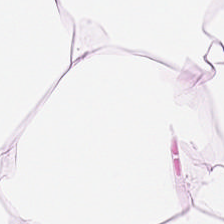H&E-stained tissue section. Predominantly adipose.
